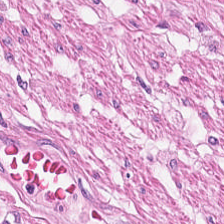WSI patch; H&E stain; 0.5 microns per pixel.
Finding — smooth muscle.
